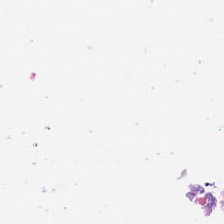This patch shows background.
